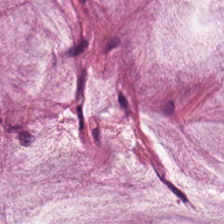H&E-stained tissue section · formalin-fixed paraffin-embedded section. Histology — mucin.
